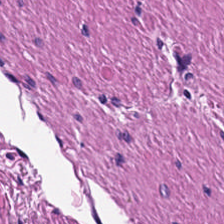H&E · 224×224 px tile.
The predominant tissue is smooth muscle.
